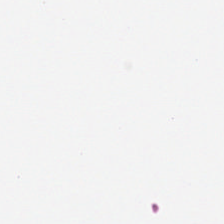Stain: H&E-stained tissue section.
Preparation: FFPE tissue section.
Acquisition: whole-slide-image patch.
Field content: background.
